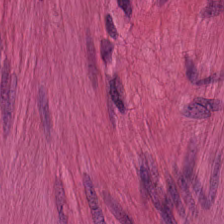Showing smooth-muscle tissue.
